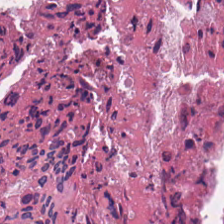H&E-stained tissue section — Predominantly cellular debris.
